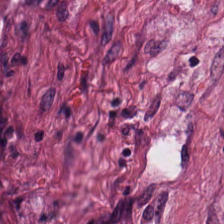H&E stain. Finding → cancer-associated stroma.
